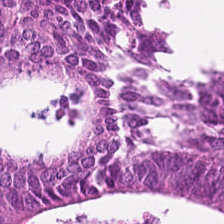Hematoxylin-and-eosin stained section.
This patch shows tumor epithelium.
